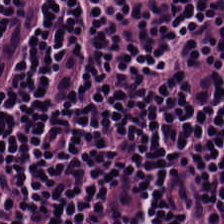H&E-stained tissue section.
Lymphocytic infiltrate.
